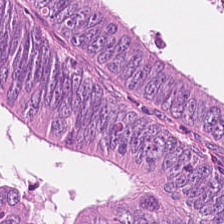H&E patch showing malignant epithelium.
